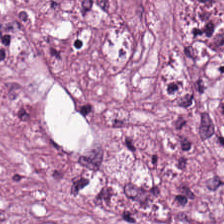0.5 microns per pixel. Hematoxylin and eosin — Tissue type: tumor stroma.
